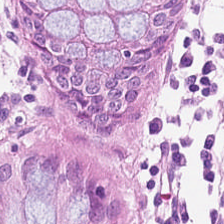H&E stain; 20× equivalent magnification; formalin-fixed paraffin-embedded section.
Tissue: normal colon mucosa.
